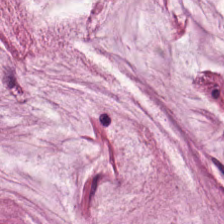H&E-stained tissue section.
Showing extracellular mucin.
